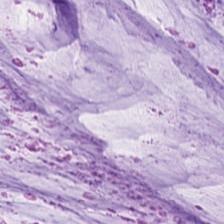224×224 px patch; H&E-stained tissue section — Showing mucin.
